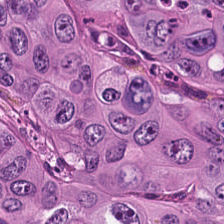H&E · formalin-fixed paraffin-embedded section. The predominant tissue is colorectal adenocarcinoma.
